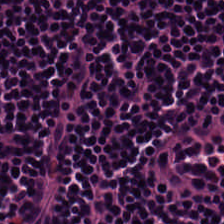WSI patch. Hematoxylin and eosin. FFPE tissue section — Predominantly lymphocytic infiltrate.
